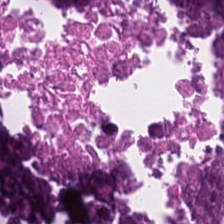Predominantly cellular debris.
